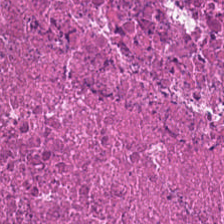H&E-stained tissue section.
The tissue type is cellular debris.
